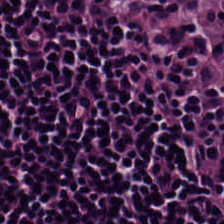Predominant tissue = lymphocytic infiltrate.
